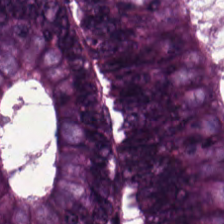Formalin-fixed paraffin-embedded section. Hematoxylin-and-eosin stained section. Finding — colorectal adenocarcinoma epithelium.
